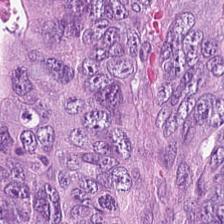Histology — colorectal adenocarcinoma epithelium.
